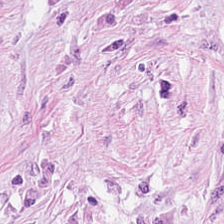Stain: hematoxylin and eosin.
Classification: tumor-associated stroma.
